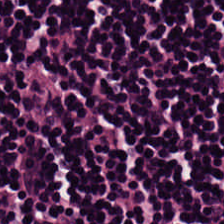H&E stain · 224×224 pixel tile — Tissue type: lymphocyte aggregate.
